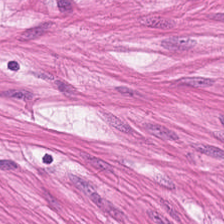Hematoxylin-and-eosin stained section.
Tissue class: muscularis.
